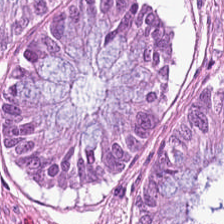0.5 µm/px · H&E-stained tissue section. Q: Classify this patch.
A: Non-neoplastic colon mucosa.
